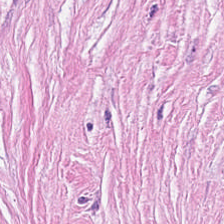WSI patch. Hematoxylin and eosin. 224×224 pixel tile — Finding → tumor-associated stroma.
